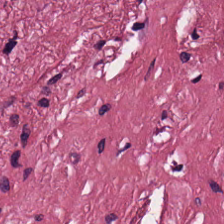Stain: hematoxylin and eosin.
Tissue class: tumor-associated stroma.
